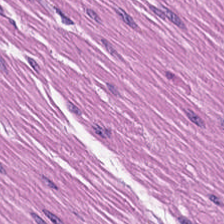H&E-stained tissue section.
Classification — smooth muscle.
